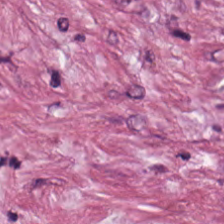224×224 px tile · 0.5 µm per pixel · H&E. The predominant tissue is tumor stroma.
